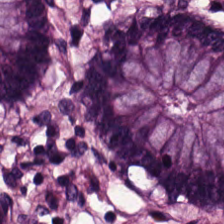Brightfield; hematoxylin-and-eosin stained section.
The predominant tissue is non-neoplastic colon mucosa.
